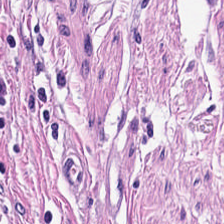Brightfield microscopy; hematoxylin-and-eosin stained section.
Tissue class = muscularis.
